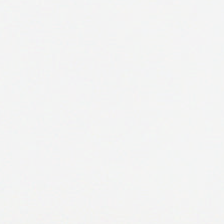Stain: hematoxylin-and-eosin stained section.
Field content: background.
